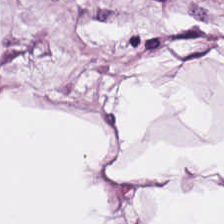H&E-stained tissue section. This field is fat tissue.
